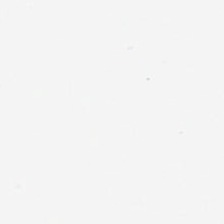Hematoxylin-and-eosin stained section — The classification is background.
